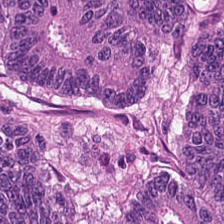Hematoxylin and eosin. Brightfield microscopy.
Predominant tissue = malignant epithelium.
